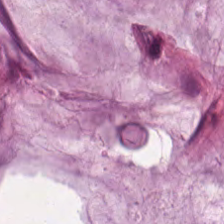Classification — extracellular mucin.
